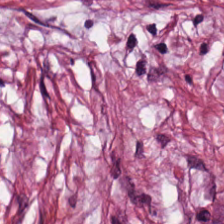H&E — {"tissue_type": "tumor-associated stroma"}
